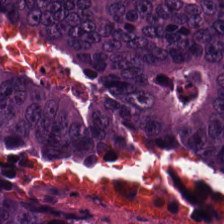H&E stain — Classification: tumor epithelium.
